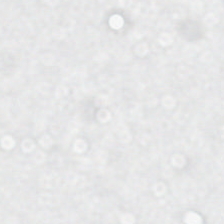Hematoxylin and eosin.
Q: What does this patch show?
A: No tissue.
